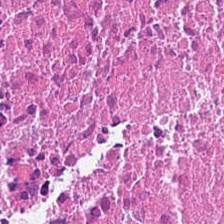Hematoxylin-and-eosin stained section.
Predominantly debris.
